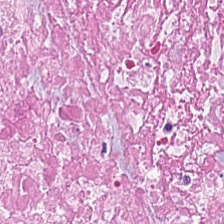WSI patch · 224×224 px tile · hematoxylin and eosin. Tissue: debris.
